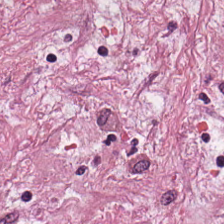H&E · whole-slide-image patch. Classification — desmoplastic stroma.
